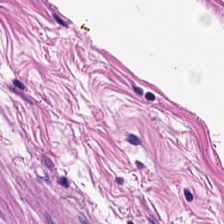WSI patch. H&E. Tissue = smooth muscle.
